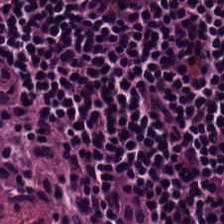224×224 px tile; brightfield; H&E. This field is lymphoid infiltrate.
